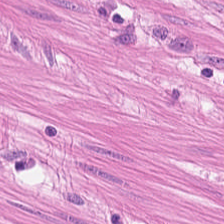H&E stain; 224×224 px patch; formalin-fixed paraffin-embedded section. Tissue type = muscularis.
